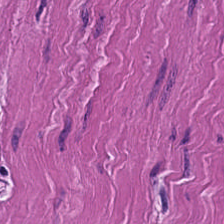Hematoxylin and eosin — This patch shows smooth-muscle tissue.
